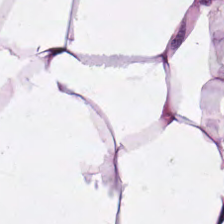Predominantly adipose.
